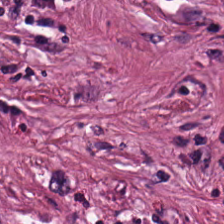Q: What is shown here?
A: It is desmoplastic stroma.
